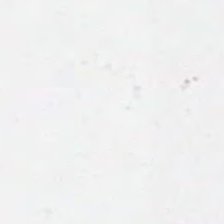0.5 µm per pixel · hematoxylin and eosin · brightfield.
Q: What does this patch show?
A: Background.
